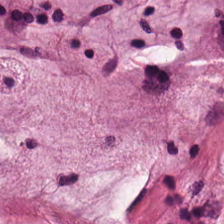224×224 px patch. H&E stain. The tissue here is mucus.
